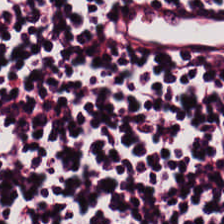H&E. 224×224 px tile — Showing lymphoid infiltrate.
